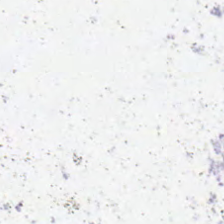{"content": "background"}
